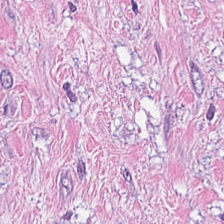20× equivalent magnification; hematoxylin-and-eosin stained section. Q: What does this patch show?
A: It is cancer-associated stroma.
